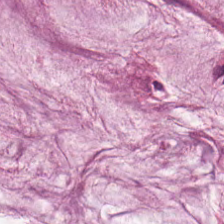This field is extracellular mucin.
